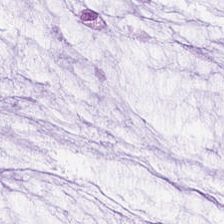Predominantly mucus.
